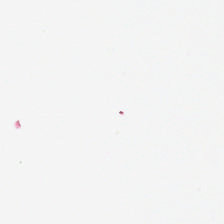H&E.
Background — no tissue in this field.
